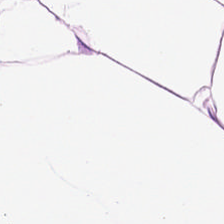H&E-stained tissue section. FFPE. This patch shows adipose.
